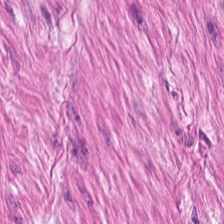Hematoxylin-and-eosin stained section — Predominant tissue = smooth muscle.
